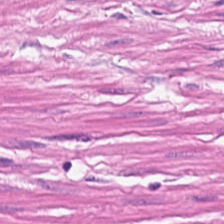Finding — muscularis.
